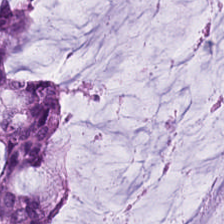Predominant tissue — extracellular mucin.
